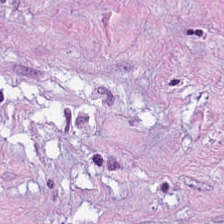H&E stain.
Q: What tissue type is shown here?
A: Tumor stroma.
